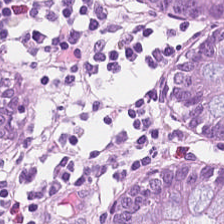224×224 px patch · H&E stain.
Q: What is shown here?
A: This is normal colonic mucosa.
